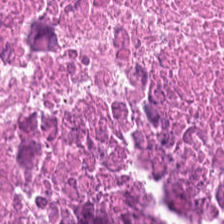H&E-stained tissue section. Showing debris.
